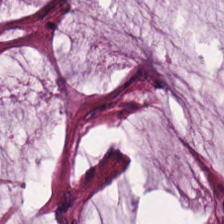Tissue — mucus.
